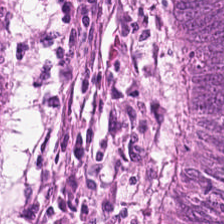H&E; 0.5 microns per pixel. The predominant tissue is malignant epithelium.
